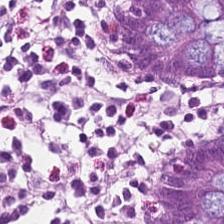Stain: hematoxylin-and-eosin stained section.
Acquisition: WSI patch.
Predominant tissue: non-neoplastic colon mucosa.
